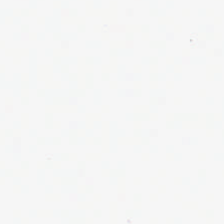Stain: H&E stain.
Field content: background.
